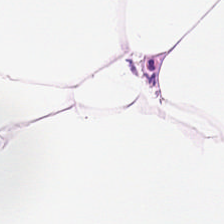H&E-stained tissue section. FFPE tissue section. WSI patch — {"tissue_type": "fat tissue"}
